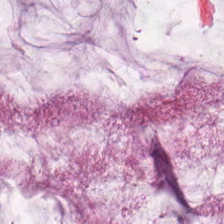Extracellular mucin.
